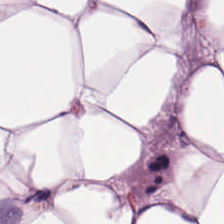H&E stain — Q: Classify this patch.
A: It is fat tissue.
